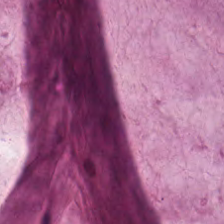Predominantly mucin.
